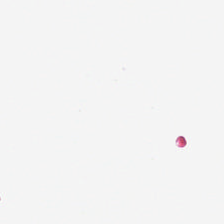H&E-stained tissue section · 224×224 px tile.
Content: background.
